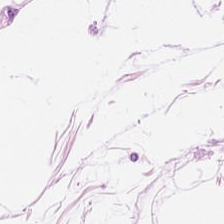Whole-slide-image patch · 224×224 px patch · H&E.
Tissue: adipose tissue.
